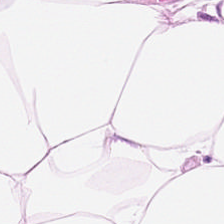Hematoxylin-and-eosin stained section.
Finding — adipose.
